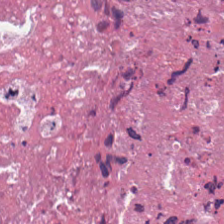20× equivalent magnification. H&E stain — Classification = cellular debris.
